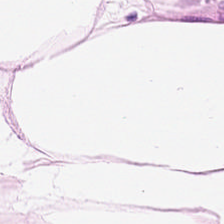H&E-stained tissue section.
Adipose.
